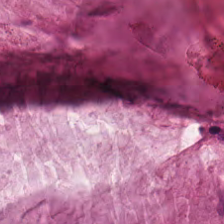Q: Classify this patch.
A: It is mucin.
